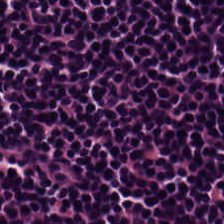H&E-stained tissue section showing lymphocytic infiltrate.
